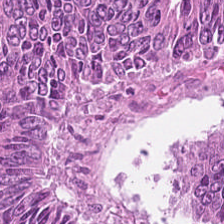Hematoxylin and eosin. Brightfield microscopy. Predominantly colorectal adenocarcinoma.
